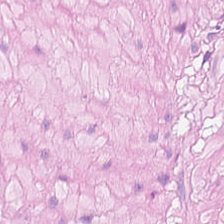Q: What is the predominant tissue type?
A: It is muscularis.
